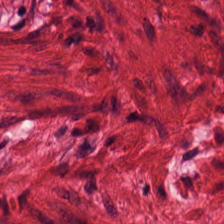H&E stain. Tissue type = smooth muscle.
